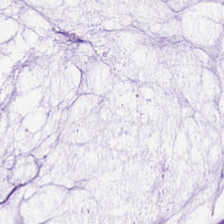H&E stain — Q: Classify this patch.
A: This is extracellular mucin.
